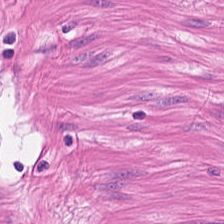H&E.
Showing smooth-muscle tissue.
